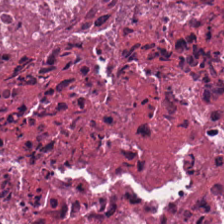H&E — This patch shows necrotic debris.
